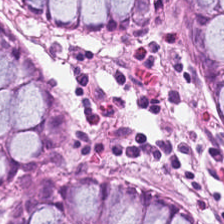Hematoxylin-and-eosin stained section.
{"tissue_type": "normal colonic mucosa"}
